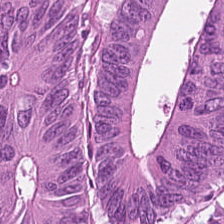H&E. FFPE tissue section.
Predominant tissue — tumor epithelium.
